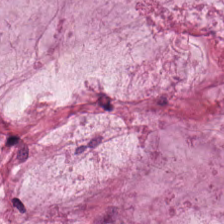Hematoxylin and eosin · whole-slide-image patch · 0.5 µm per pixel — Impression — extracellular mucin.
